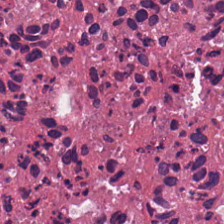The tissue here is debris.
